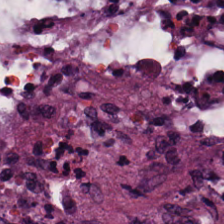Hematoxylin and eosin — This field is adenocarcinoma.
